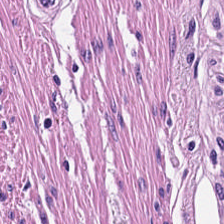H&E stain — Q: What is shown in this field?
A: The field shows smooth muscle.
